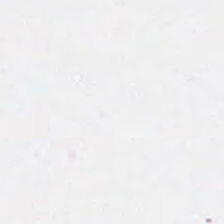This patch shows background.
